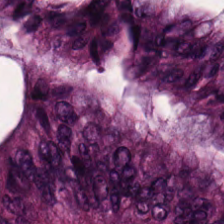Q: What tissue type is shown here?
A: It is tumor epithelium.
